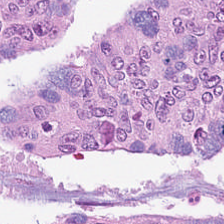Stain: hematoxylin and eosin.
Tile size: 224×224 px patch.
Tissue class: colorectal adenocarcinoma epithelium.
